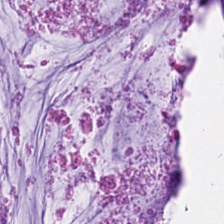Stain: hematoxylin and eosin.
Tissue: mucin.
